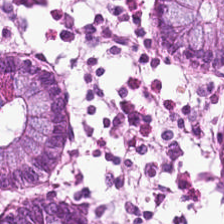Normal colon mucosa.
